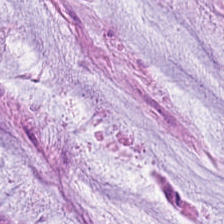Hematoxylin and eosin; WSI patch — Histology → mucus.
